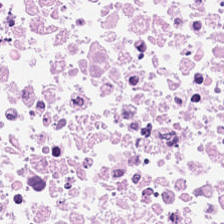Hematoxylin and eosin.
{"tissue_type": "debris"}
